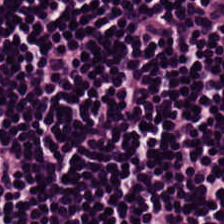Hematoxylin and eosin; whole-slide-image patch; FFPE — The tissue here is lymphocyte aggregate.
